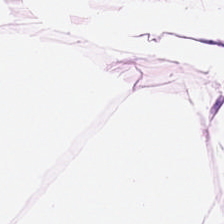Brightfield. H&E-stained tissue section. This field is adipose tissue.
